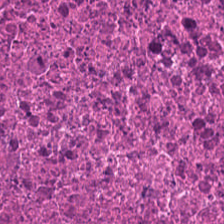Whole-slide-image patch. 224×224 pixel tile. H&E. The predominant tissue is debris.
